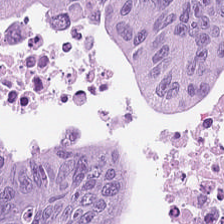0.5 µm per pixel. H&E.
Predominant tissue: colorectal adenocarcinoma.
